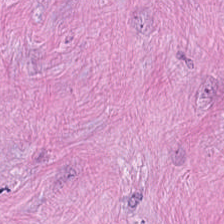H&E stain. Impression → tumor-associated stroma.
